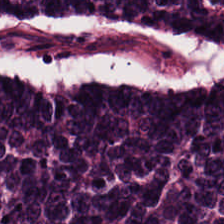The predominant tissue is tumor epithelium.
